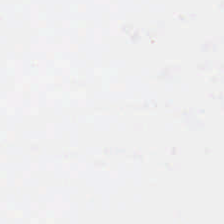Q: What is shown here?
A: The field shows background.
